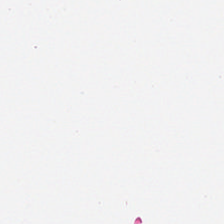Hematoxylin and eosin. Background (no tissue).
